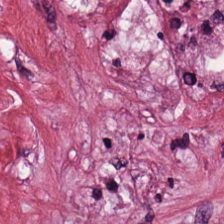Hematoxylin-and-eosin stained section — Histology → cancer-associated stroma.
